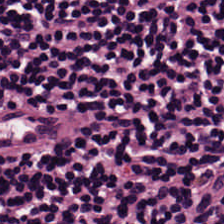H&E-stained tissue section.
Showing lymphocytic infiltrate.
